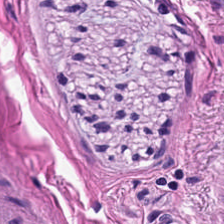Hematoxylin and eosin · formalin-fixed paraffin-embedded section — Predominantly smooth muscle.
